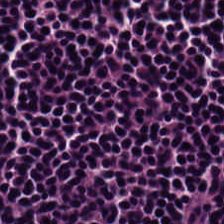Predominant tissue — lymphocyte aggregate.
